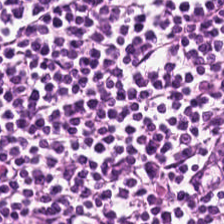0.5 µm per pixel. H&E. Impression → lymphocytes.
